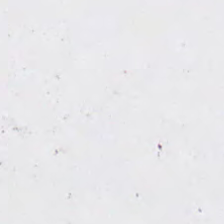Stain: H&E-stained tissue section.
Content: no tissue.
